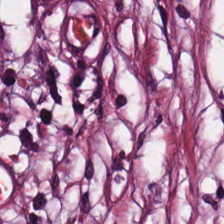Stain: H&E stain.
Tissue type: tumor-associated stroma.
